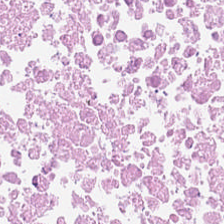Tissue — necrotic debris.
